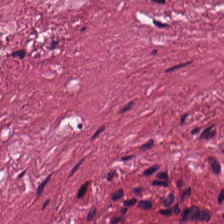Predominant tissue = tumor stroma.
